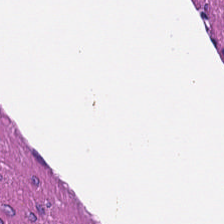Brightfield · hematoxylin-and-eosin stained section. Predominantly muscularis.
